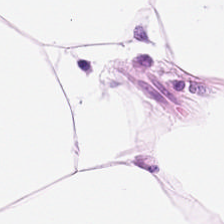H&E stain · FFPE tissue section · brightfield microscopy.
Q: What tissue type is shown here?
A: The field shows adipose tissue.
